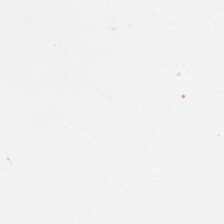Hematoxylin and eosin. No tissue present; background only.
